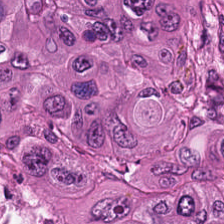H&E-stained tissue section · 0.5 µm per pixel — Predominant tissue = colorectal adenocarcinoma.
